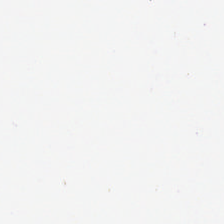Hematoxylin-and-eosin stained section — Background — no tissue in this field.
